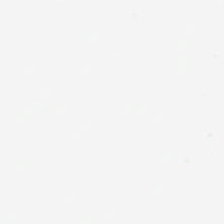Content — no tissue.
